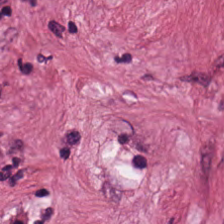H&E.
This field is tumor stroma.
